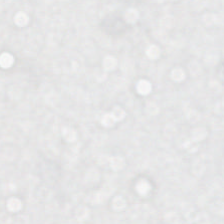Hematoxylin-and-eosin stained section.
Field content: background.
